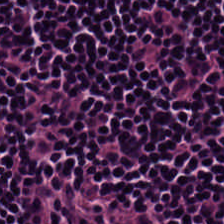{"tissue_type": "lymphoid infiltrate"}
